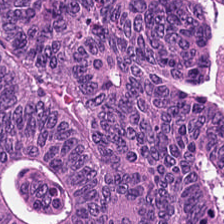Predominantly adenocarcinoma.
